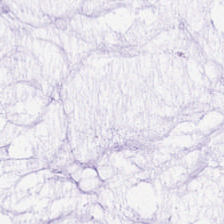Predominant tissue — mucin.
